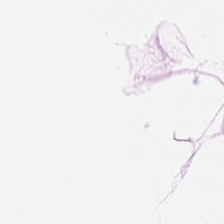{"tissue_type": "adipose"}
